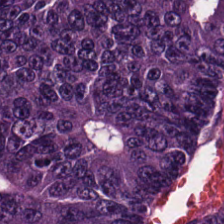H&E.
Q: What is the predominant tissue type?
A: The field shows adenocarcinoma.
